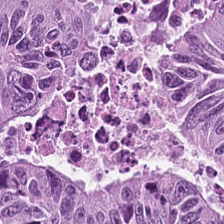Histology → colorectal adenocarcinoma epithelium.
